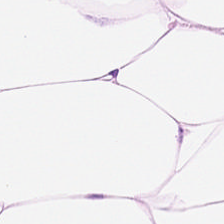Predominant tissue = fat tissue.
